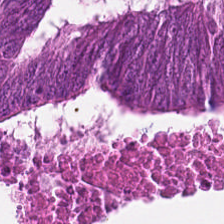WSI patch; H&E; formalin-fixed paraffin-embedded section. {"tissue_type": "colorectal adenocarcinoma epithelium"}
